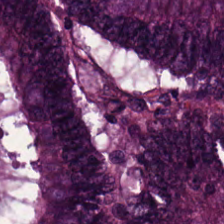Tissue class — malignant epithelium.
